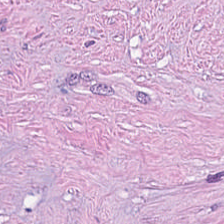H&E stain.
Tissue class: necrotic debris.
